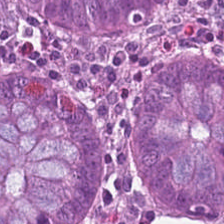Hematoxylin-and-eosin stained section.
Normal colonic mucosa.
